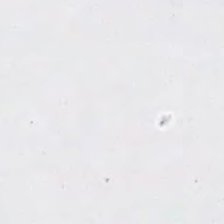H&E-stained tissue section. Impression — empty background.
